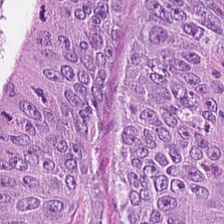Q: Classify this patch.
A: The field shows colorectal adenocarcinoma.
